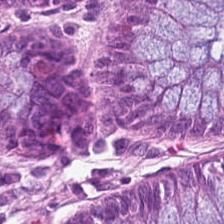224×224 px tile · hematoxylin-and-eosin stained section. The tissue here is non-neoplastic colon mucosa.
